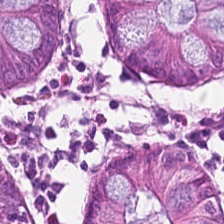Q: Identify the tissue.
A: Benign colonic mucosa.
